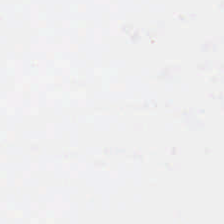Q: What does this patch show?
A: It is background.
